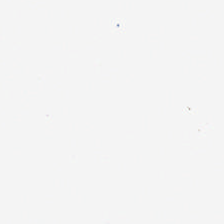H&E stain. Background — no tissue in this field.
